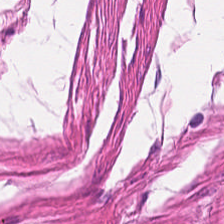H&E stain · formalin-fixed paraffin-embedded section · WSI patch. This field is smooth-muscle tissue.
